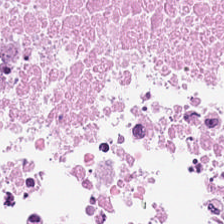Hematoxylin-and-eosin stained section. 224×224 px patch. 0.5 µm/px. Classification = debris.
